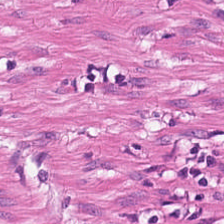Hematoxylin-and-eosin stained section.
Q: What is shown in this field?
A: This is smooth muscle.
